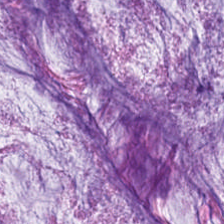H&E stain; 224×224 pixel tile; WSI patch — Q: Classify this patch.
A: The field shows mucus.
